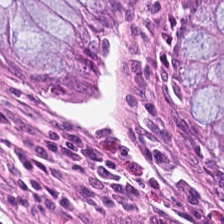H&E-stained tissue section — Tissue class — normal colonic mucosa.
